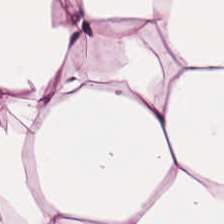Stain: H&E stain.
Resolution: 0.5 µm per pixel.
Tissue class: adipocytes.
